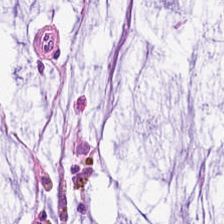Mucus.
